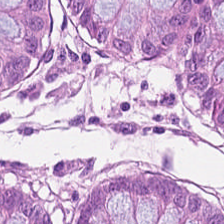0.5 microns per pixel. H&E-stained tissue section.
Histology → benign colonic mucosa.
